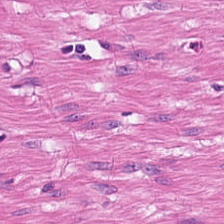Stain: hematoxylin-and-eosin stained section.
Acquisition: brightfield microscopy.
Resolution: 0.5 µm/px.
Tissue type: muscularis.
